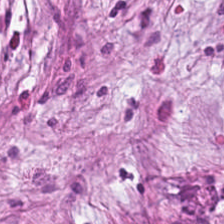The tissue is desmoplastic stroma.
